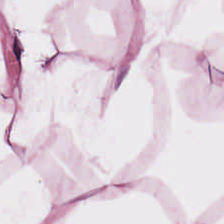224×224 pixel tile · formalin-fixed paraffin-embedded section · hematoxylin-and-eosin stained section.
Impression → fat tissue.
